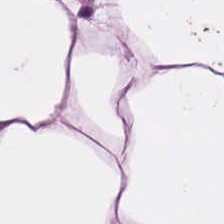Histology → fat tissue.
